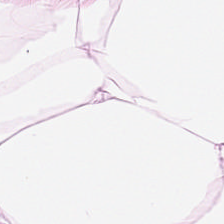Impression — adipose tissue.
